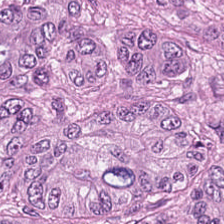H&E stain — The tissue here is tumor epithelium.
